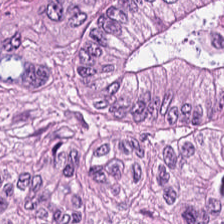Hematoxylin and eosin · 224×224 pixel tile — Q: What is shown here?
A: Malignant epithelium.
